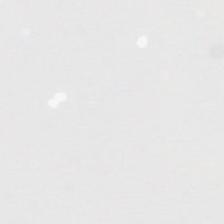224×224 px patch; H&E-stained tissue section. {"content": "no tissue"}
